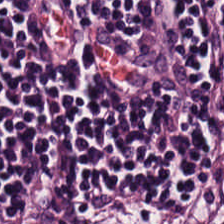Hematoxylin-and-eosin stained section — Impression — lymphocytic infiltrate.
